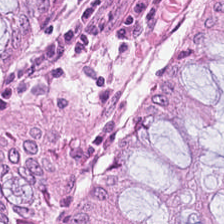H&E stain — Q: What tissue is shown?
A: This is normal colon mucosa.
